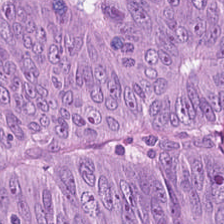H&E stain. Q: What is the predominant tissue type?
A: Tumor epithelium.
